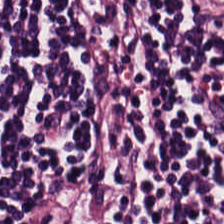Brightfield; H&E; 224×224 px tile. Lymphocytes.
